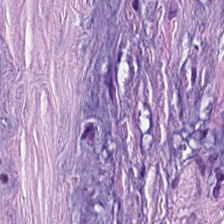224×224 px tile; H&E. This patch shows desmoplastic stroma.
